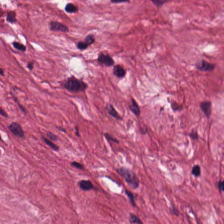224×224 pixel tile; H&E stain. Finding — desmoplastic stroma.
